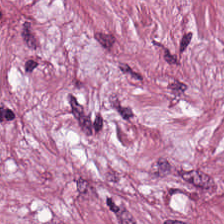H&E. Whole-slide-image patch. Tissue = desmoplastic stroma.
